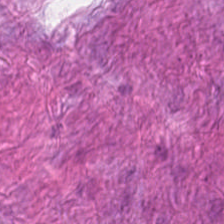FFPE tissue section; H&E stain. Classification: tumor-associated stroma.
